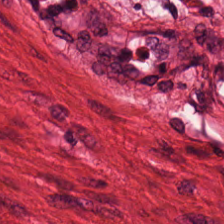Smooth muscle.
